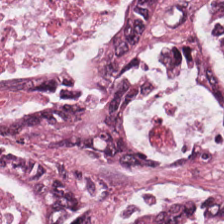Stain: hematoxylin-and-eosin stained section.
Tissue type: malignant epithelium.
